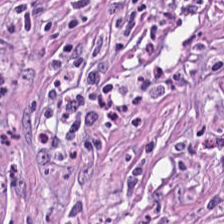Stain: hematoxylin and eosin.
Resolution: 0.5 microns per pixel.
Tissue class: desmoplastic stroma.
